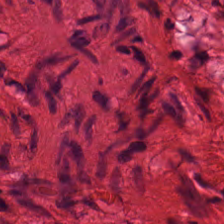H&E-stained tissue section — Tissue — muscularis.
